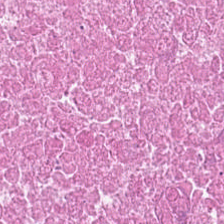Hematoxylin and eosin. 224×224 pixel tile — Predominantly cellular debris.
